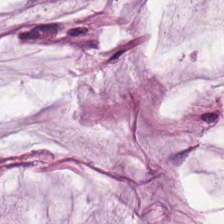H&E stain. Formalin-fixed paraffin-embedded section. The predominant tissue is mucus.
